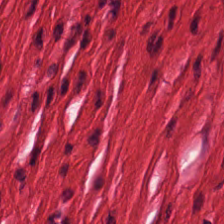H&E stain — Showing smooth-muscle tissue.
